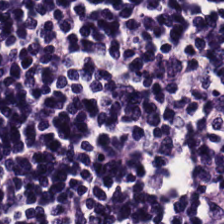This patch shows lymphoid infiltrate.
